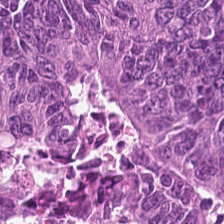224×224 pixel tile; H&E — Finding — malignant epithelium.
